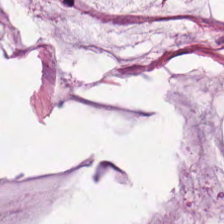H&E-stained tissue section — Tissue — mucus.
